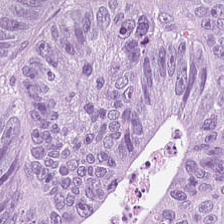Hematoxylin and eosin — Tissue class = tumor epithelium.
